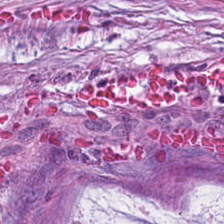Classification — mucus.
